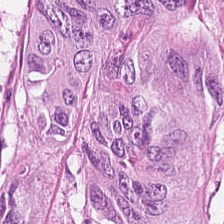Hematoxylin-and-eosin stained section; WSI patch.
Histology — colorectal adenocarcinoma.
